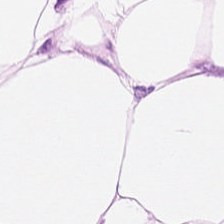Hematoxylin and eosin — Tissue: adipocytes.
